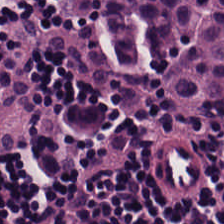H&E-stained tissue section.
Predominant tissue: lymphocytic infiltrate.
